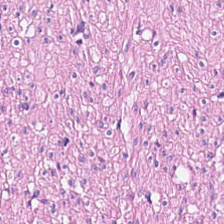H&E stain; brightfield microscopy. Q: What is shown here?
A: This is smooth-muscle tissue.
